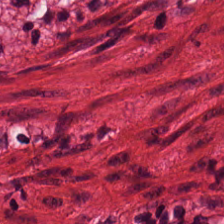H&E stain — This patch shows smooth muscle.
